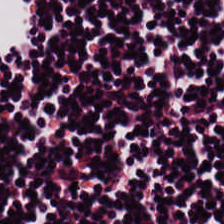224×224 px tile · H&E-stained tissue section. This field is lymphocytic infiltrate.
